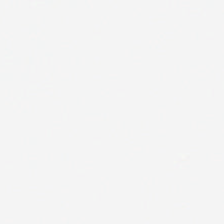This patch shows background (no tissue).
